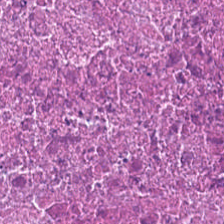224×224 px tile. 0.5 microns per pixel. H&E.
The tissue type is necrotic debris.
